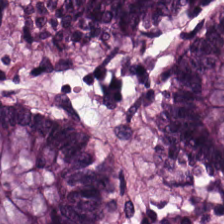Hematoxylin-and-eosin stained section. The tissue here is benign colonic mucosa.
